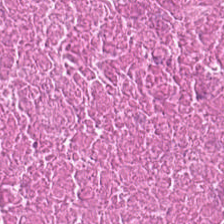Tissue type: cellular debris.
